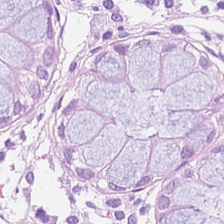Hematoxylin-and-eosin stained section. {"tissue_type": "benign colonic mucosa"}
